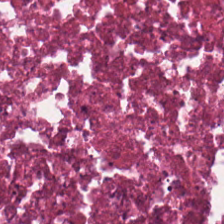Q: What type of tissue is this?
A: The field shows necrotic debris.
